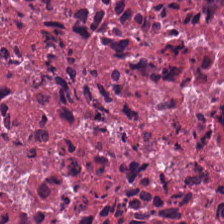Stain: hematoxylin and eosin.
Tissue type: debris.
